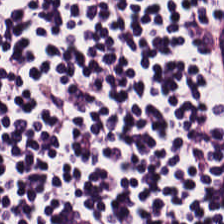The tissue type is lymphocyte aggregate.
